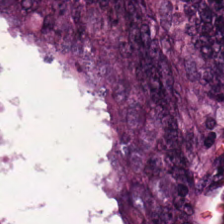The predominant tissue is tumor epithelium.
